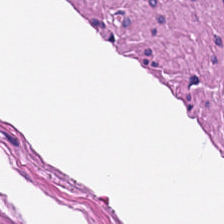H&E; formalin-fixed paraffin-embedded section; 0.5 µm per pixel — This patch shows smooth-muscle tissue.
